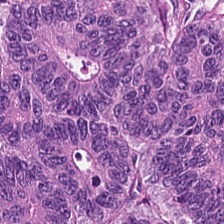Q: What does this patch show?
A: It is malignant epithelium.
